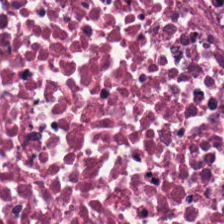Hematoxylin and eosin · 0.5 µm per pixel · FFPE tissue section — Q: What is shown here?
A: It is debris.
